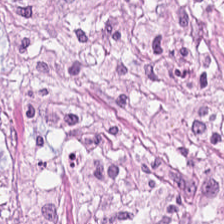20× equivalent magnification; formalin-fixed paraffin-embedded section; hematoxylin and eosin — Showing tumor-associated stroma.
